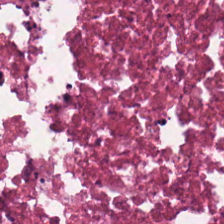Hematoxylin and eosin — Debris.
